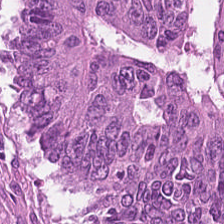H&E-stained tissue section. {"tissue_type": "adenocarcinoma"}
